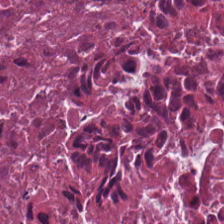H&E patch showing necrotic debris.
